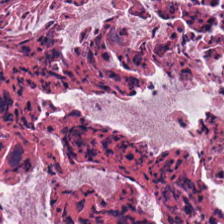H&E.
This patch shows cellular debris.
